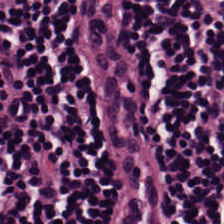Hematoxylin-and-eosin section: lymphocyte aggregate.
